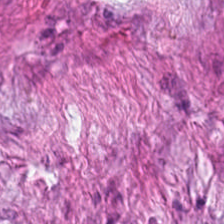H&E stain.
Tumor-associated stroma.
